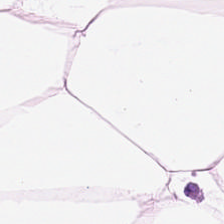224×224 px patch · hematoxylin-and-eosin stained section — The tissue class is fat tissue.
